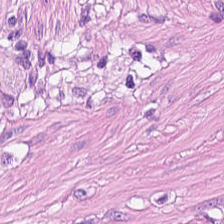Hematoxylin-and-eosin stained section.
Classification — smooth muscle.
